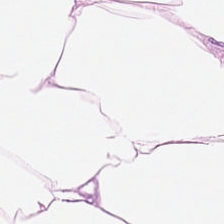Histology → adipocytes.
